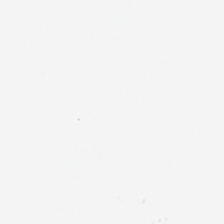H&E · whole-slide-image patch. Content — empty background.
